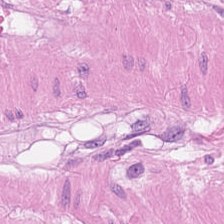H&E stain. Predominantly muscularis.
